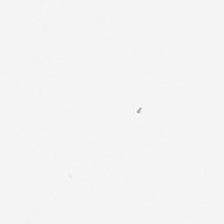Hematoxylin and eosin · brightfield microscopy. The content is background (no tissue).
